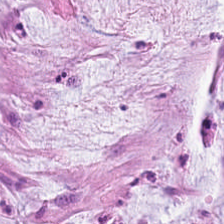H&E.
This field is extracellular mucin.
